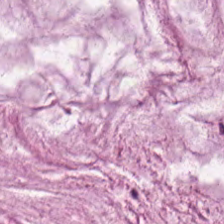Hematoxylin-and-eosin stained section; FFPE.
This patch shows mucin.
